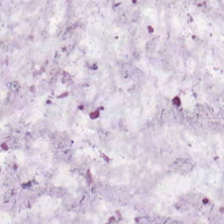Histology → mucus.
